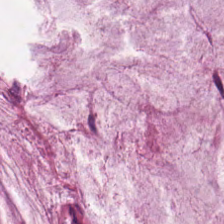The predominant tissue is mucus.
